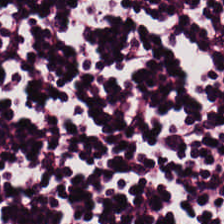Lymphocyte aggregate.
